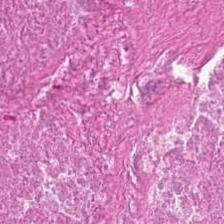H&E stain — Q: What type of tissue is this?
A: It is debris.
